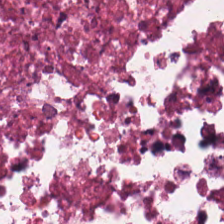0.5 microns per pixel. 224×224 pixel tile. Hematoxylin-and-eosin stained section. Classification: debris.
